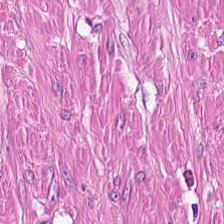H&E. 0.5 µm/px. 224×224 px patch.
Muscularis.
